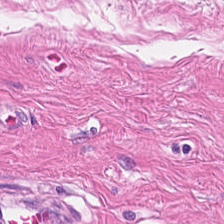Q: What tissue type is shown here?
A: It is smooth muscle.
